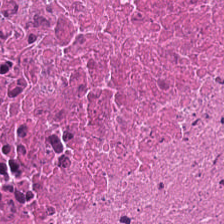Stain: H&E-stained tissue section.
Tile size: 224×224 px patch.
Classification: debris.
